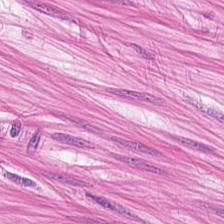Classification — muscularis.
